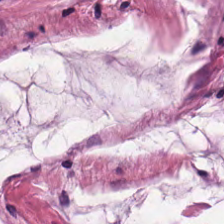H&E — This patch shows extracellular mucin.
